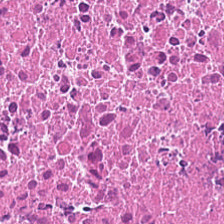H&E stain. 224×224 pixel tile. Brightfield — The tissue type is debris.
